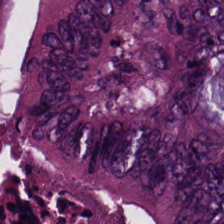H&E-stained tissue section; 224×224 px tile; brightfield — Showing colorectal adenocarcinoma.
